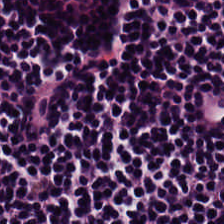224×224 px tile. 0.5 µm/px. Hematoxylin and eosin. This field is lymphocytic infiltrate.
